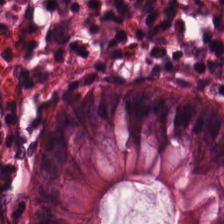H&E — The tissue is benign colonic mucosa.
